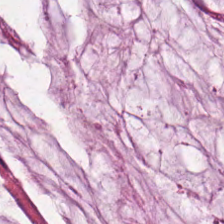FFPE tissue section · H&E-stained tissue section. Predominantly mucin.
